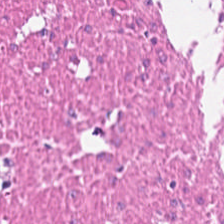H&E-stained tissue section — Muscularis.
